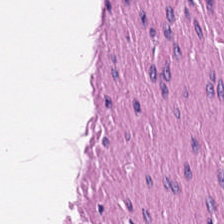H&E-stained tissue section.
The classification is smooth muscle.
